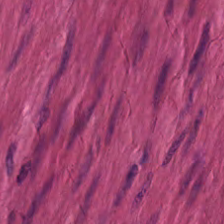Tissue = smooth muscle.
